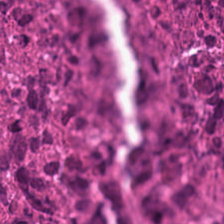H&E-stained tissue section. Finding — debris.
